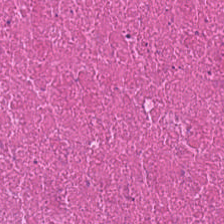Whole-slide-image patch; H&E; 20× equivalent magnification. Tissue = cellular debris.
